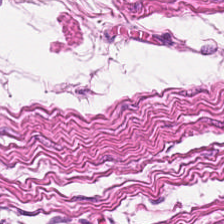H&E-stained tissue section.
Finding → muscularis.
